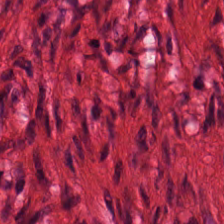H&E — Q: What tissue type is shown here?
A: Smooth muscle.
